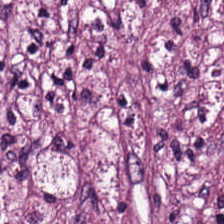WSI patch; hematoxylin-and-eosin stained section — Predominantly tumor stroma.
